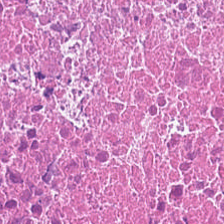Hematoxylin and eosin; brightfield microscopy.
Cellular debris.
